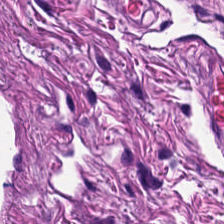Showing smooth-muscle tissue.
